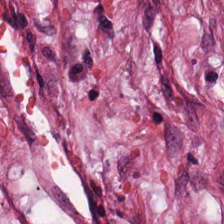Stain: H&E stain.
Tissue: cancer-associated stroma.
